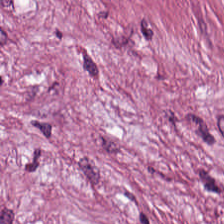{"tissue_type": "tumor-associated stroma"}
